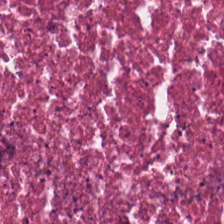H&E stain. Histology → necrotic debris.
